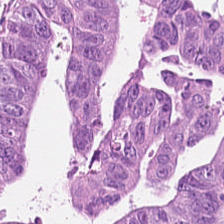Colorectal adenocarcinoma.
